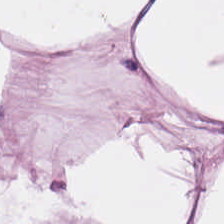Whole-slide-image patch; hematoxylin-and-eosin stained section.
Tissue class — adipose.
